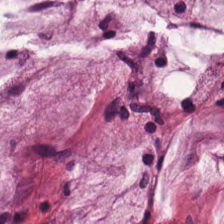Hematoxylin and eosin · FFPE tissue section · WSI patch — Showing mucus.
